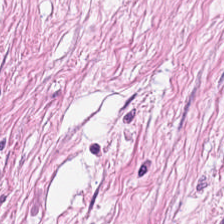Hematoxylin and eosin.
This field is tumor-associated stroma.
